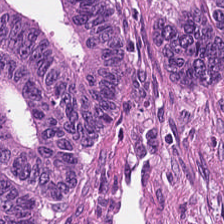H&E-stained tissue section. The tissue here is malignant epithelium.
